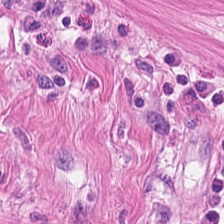20× equivalent magnification; whole-slide-image patch; hematoxylin-and-eosin stained section.
Q: What does this patch show?
A: The field shows smooth muscle.
